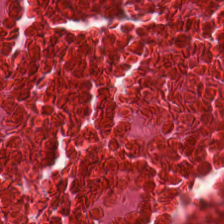Stain: hematoxylin and eosin.
Tissue: cellular debris.
